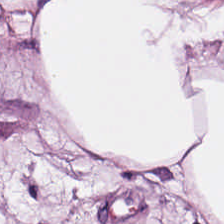Predominant tissue — adipose.
